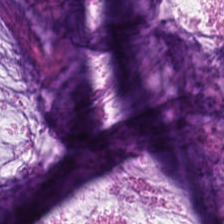Hematoxylin and eosin. This field is mucin.
